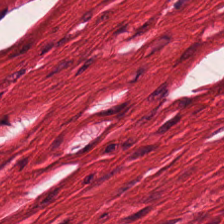Hematoxylin and eosin. {"tissue_type": "smooth-muscle tissue"}
